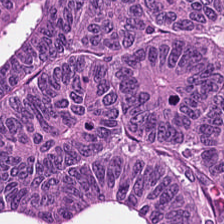H&E. The tissue here is colorectal adenocarcinoma.
